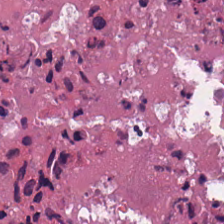H&E-stained tissue section. Showing necrotic debris.
